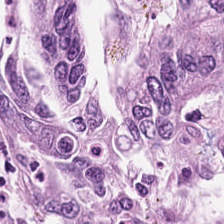H&E. Showing colorectal adenocarcinoma epithelium.
